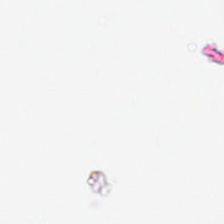H&E · WSI patch. The content is no tissue.
